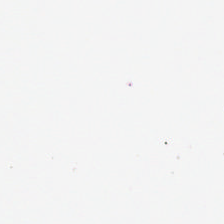0.5 µm per pixel · H&E stain · 224×224 px tile. Empty field — empty background.
